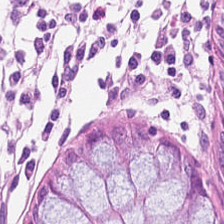This patch shows non-neoplastic colon mucosa.
